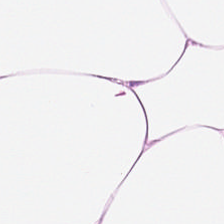Hematoxylin-and-eosin section: adipose tissue.
